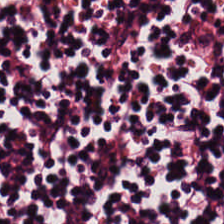Finding — lymphoid infiltrate.
